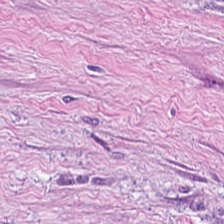0.5 µm/px · H&E. Tissue class = cancer-associated stroma.
